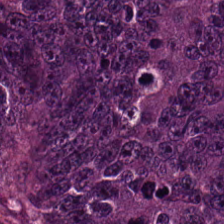H&E-stained tissue section; 0.5 µm/px; 224×224 pixel tile — This patch shows adenocarcinoma.
